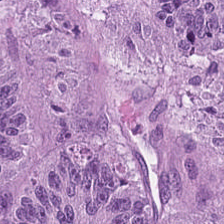H&E stain · 0.5 microns per pixel — Impression — adenocarcinoma.
